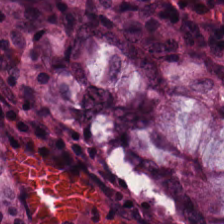Hematoxylin-and-eosin stained section — This patch shows non-neoplastic colon mucosa.
